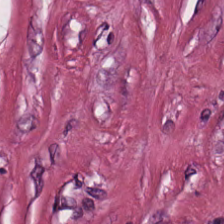H&E stain — Classification — desmoplastic stroma.
